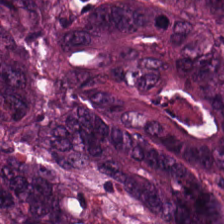H&E. Colorectal adenocarcinoma.
